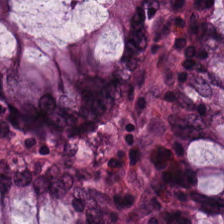Stain: H&E stain.
Preparation: formalin-fixed paraffin-embedded section.
Tissue type: normal colonic mucosa.
